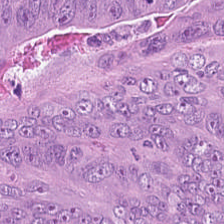0.5 µm per pixel; H&E stain. Predominant tissue: tumor epithelium.
